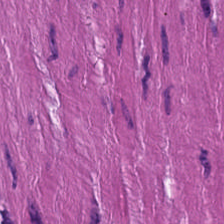The tissue is muscularis.
